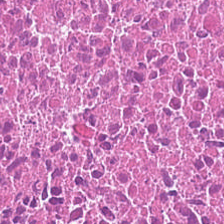H&E; FFPE tissue section. Tissue class — necrotic debris.
